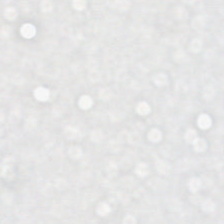H&E — Classification — empty background.
